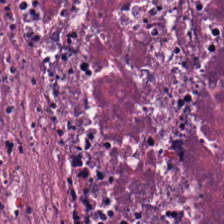Whole-slide-image patch. H&E-stained tissue section. FFPE tissue section — Finding — cellular debris.
